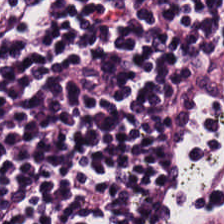H&E; FFPE. Q: What tissue is shown?
A: Lymphocytic infiltrate.
